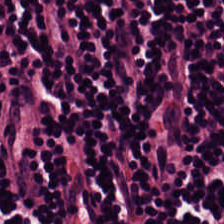Classification: lymphocyte aggregate.
